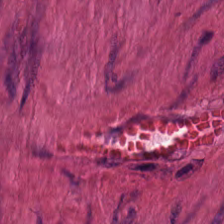H&E-stained tissue section.
Q: What type of tissue is this?
A: The field shows smooth-muscle tissue.
